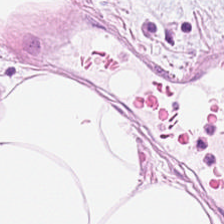Stain: hematoxylin and eosin.
Predominant tissue: adipose.
